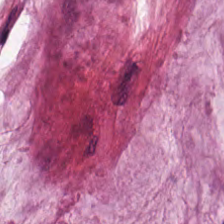WSI patch · H&E · 0.5 µm/px. Classification: mucus.
